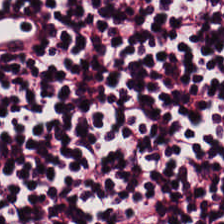Predominant tissue = lymphocytes.
